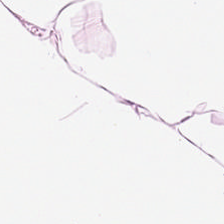224×224 pixel tile · H&E stain. Showing fat tissue.
